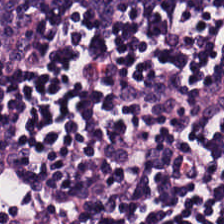H&E-stained tissue section · FFPE. Showing lymphocytic infiltrate.
